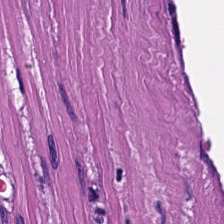H&E stain. Tissue — smooth-muscle tissue.
